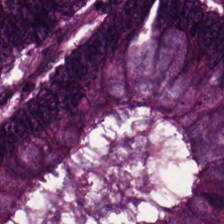H&E-stained tissue section. {"tissue_type": "malignant epithelium"}
